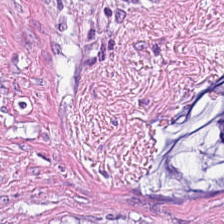The tissue here is desmoplastic stroma.
